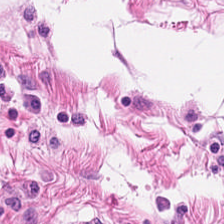Brightfield microscopy · hematoxylin-and-eosin stained section · 224×224 px patch. Classification — smooth muscle.
